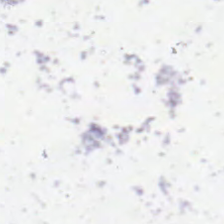Hematoxylin-and-eosin stained section — Empty field — no tissue.
